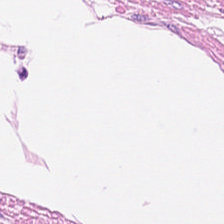FFPE tissue section. H&E — This patch shows smooth-muscle tissue.
